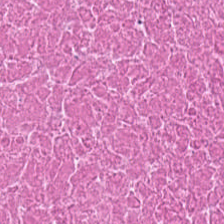Stain: H&E.
Acquisition: brightfield microscopy.
Tile size: 224×224 px patch.
Tissue: cellular debris.
